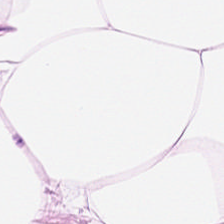H&E stain.
Q: Identify the tissue.
A: This is fat tissue.
